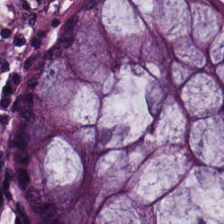Tissue: normal colonic mucosa.
